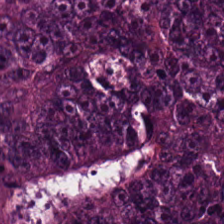Tissue = tumor epithelium.
